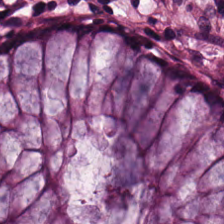H&E-stained tissue section — Classification = benign colonic mucosa.
